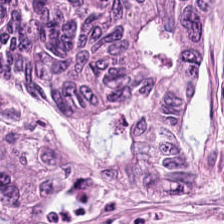H&E stain.
Impression — colorectal adenocarcinoma epithelium.
